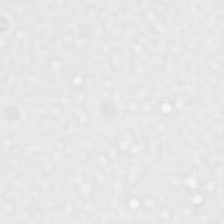H&E.
Field content = background.
